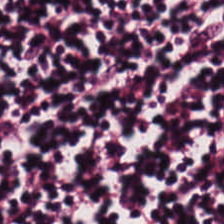Hematoxylin and eosin.
{"tissue_type": "lymphocyte aggregate"}
